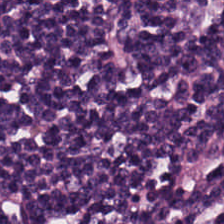Hematoxylin-and-eosin stained section; 224×224 pixel tile. The tissue class is lymphocyte aggregate.
